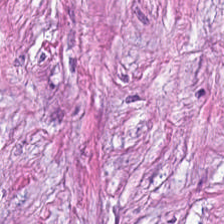Q: Identify the tissue.
A: It is tumor stroma.
